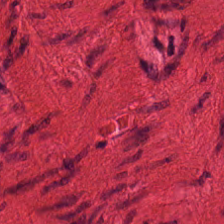20× equivalent magnification. H&E stain. Q: What type of tissue is this?
A: The field shows smooth-muscle tissue.
